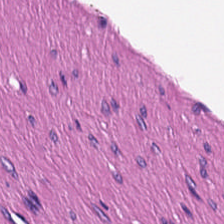Hematoxylin-and-eosin stained section.
Q: Identify the tissue.
A: This is smooth-muscle tissue.
